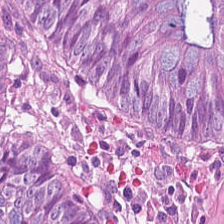WSI patch · H&E stain. The predominant tissue is colorectal adenocarcinoma epithelium.
